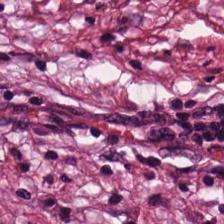H&E — The classification is tumor-associated stroma.
